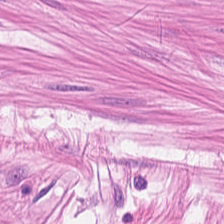H&E-stained tissue section — Q: What tissue type is shown here?
A: Muscularis.
